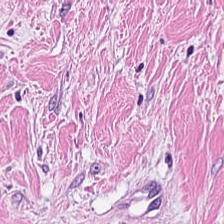Tissue type — tumor-associated stroma.
